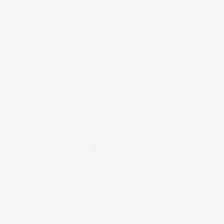Stain: H&E-stained tissue section.
Classification: empty background.
